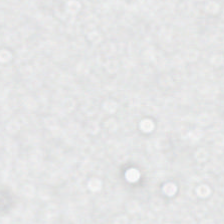Hematoxylin and eosin. Empty field — empty background.
